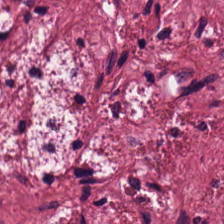Hematoxylin-and-eosin stained section. The tissue here is desmoplastic stroma.
